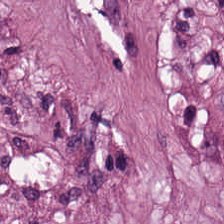FFPE tissue section. 224×224 px tile. Hematoxylin-and-eosin stained section. Q: What is shown in this field?
A: Tumor stroma.
